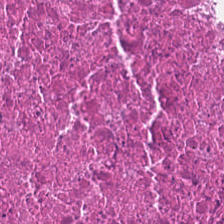FFPE; H&E-stained tissue section. The predominant tissue is necrotic debris.
